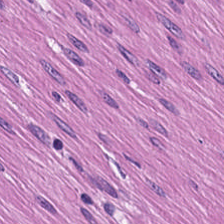Hematoxylin-and-eosin stained section · formalin-fixed paraffin-embedded section — This patch shows smooth-muscle tissue.
